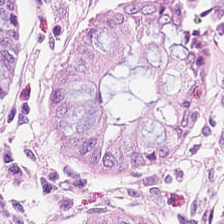Predominantly non-neoplastic colon mucosa.
